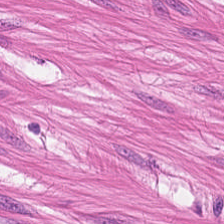Formalin-fixed paraffin-embedded section; H&E stain.
This patch shows smooth muscle.
